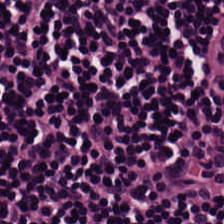H&E. Finding — lymphocytes.
